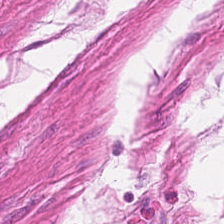Hematoxylin-and-eosin stained section — Tissue — smooth-muscle tissue.
